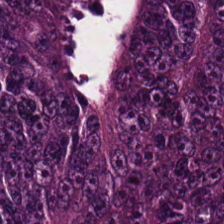H&E. Tissue = adenocarcinoma.
